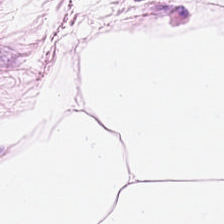Formalin-fixed paraffin-embedded section · H&E stain — Showing fat tissue.
